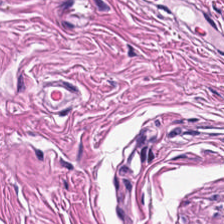{"tissue_type": "smooth-muscle tissue"}
